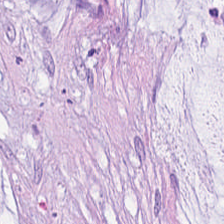H&E-stained tissue section — {"tissue_type": "mucus"}
